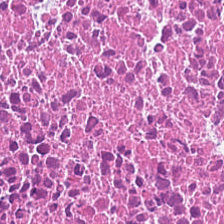H&E-stained tissue section — {"tissue_type": "cellular debris"}
